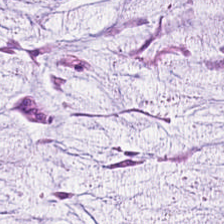Hematoxylin-and-eosin stained section. The classification is mucus.
